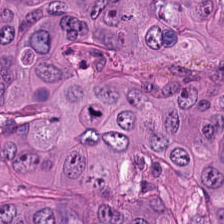Stain: hematoxylin-and-eosin stained section.
Tissue class: malignant epithelium.
